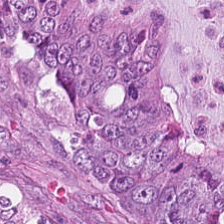20× equivalent magnification; hematoxylin-and-eosin stained section.
Tissue — colorectal adenocarcinoma epithelium.
